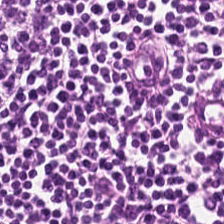Stain: H&E-stained tissue section.
Classification: lymphocytes.
